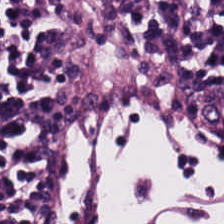Hematoxylin-and-eosin stained section. Q: What type of tissue is this?
A: Lymphocyte aggregate.
